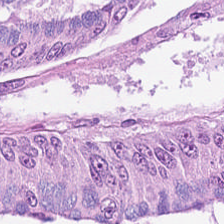Hematoxylin-and-eosin section: malignant epithelium.
